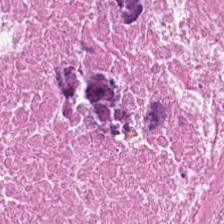Tissue type = cellular debris.
